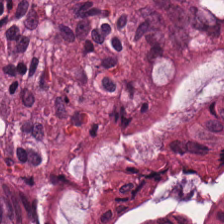H&E-stained section; the field shows non-neoplastic colon mucosa.
